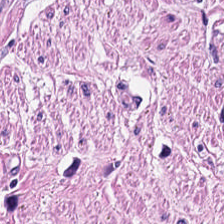Brightfield microscopy · 224×224 px tile · H&E stain — Tissue class = smooth-muscle tissue.
